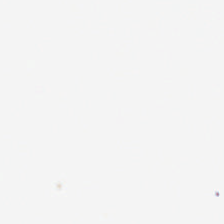Q: What is shown here?
A: The field shows background (no tissue).
